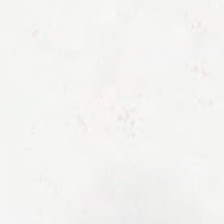Stain: hematoxylin-and-eosin stained section.
Content: background.
